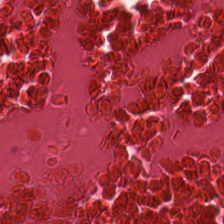Q: What tissue is shown?
A: Debris.
